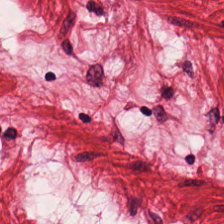0.5 µm/px · H&E · 224×224 pixel tile. This field is smooth-muscle tissue.
